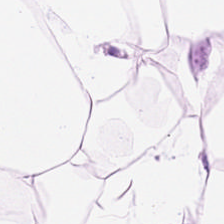H&E stain — {"tissue_type": "adipose"}
